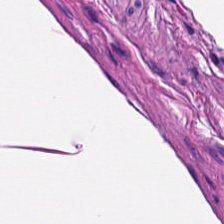Stain: hematoxylin-and-eosin stained section.
Preparation: FFPE.
Acquisition: whole-slide-image patch.
Tissue type: smooth muscle.
